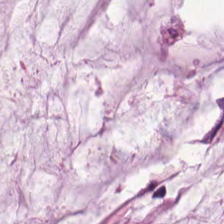224×224 px patch · hematoxylin and eosin · brightfield microscopy.
The tissue class is extracellular mucin.
